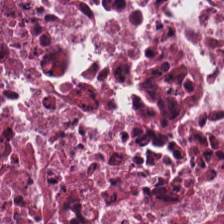Hematoxylin-and-eosin stained section — Predominantly debris.
